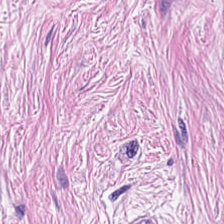Hematoxylin and eosin — Q: What does this patch show?
A: It is tumor stroma.
